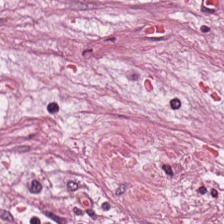H&E — Tissue type = desmoplastic stroma.
